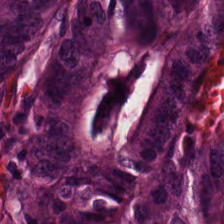0.5 µm/px; brightfield microscopy; H&E-stained tissue section.
Adenocarcinoma.
